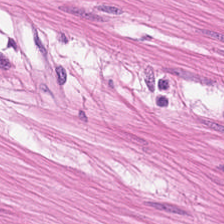FFPE; H&E-stained tissue section; 224×224 pixel tile — Tissue: muscularis.
